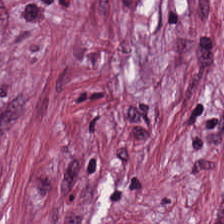Predominantly cancer-associated stroma.
